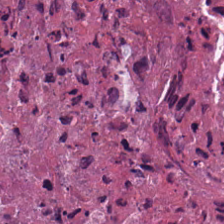H&E stain. The tissue here is necrotic debris.
